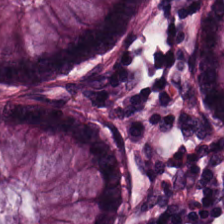Stain: hematoxylin and eosin.
Classification: normal colonic mucosa.
